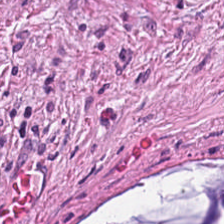H&E stain. Mucus.
